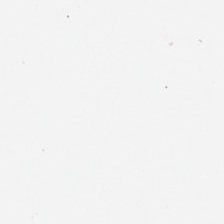H&E; whole-slide-image patch — The content is empty background.
